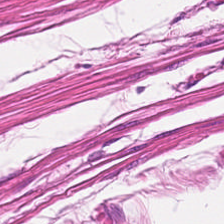Hematoxylin and eosin. Predominant tissue — smooth muscle.
